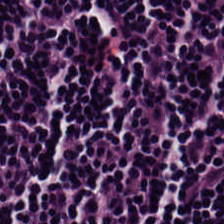The predominant tissue is lymphocytes.
